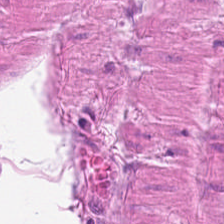H&E. 224×224 px patch — Q: What type of tissue is this?
A: It is smooth-muscle tissue.
